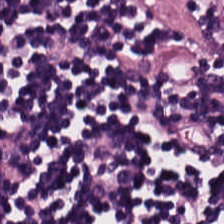This patch shows lymphocytic infiltrate.
